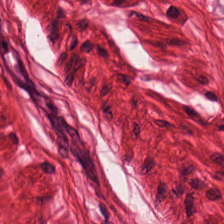Tissue: smooth muscle.
